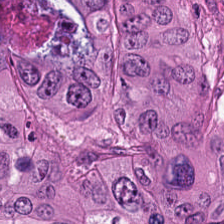Hematoxylin and eosin. Showing colorectal adenocarcinoma.
